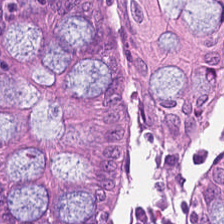This field is non-neoplastic colon mucosa.
